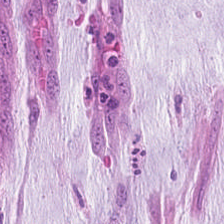H&E-stained tissue section — Q: What is shown in this field?
A: Mucin.
